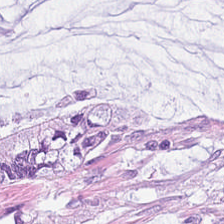Hematoxylin and eosin.
Predominantly mucus.
